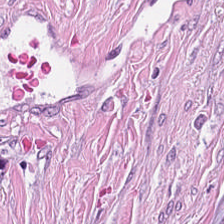H&E stain; FFPE. This patch shows tumor-associated stroma.
